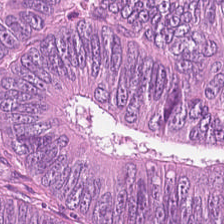Q: Classify this patch.
A: Tumor epithelium.
